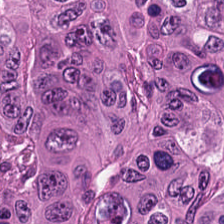H&E-stained tissue section. This patch shows tumor epithelium.
